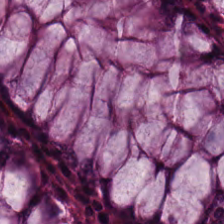H&E-stained tissue section showing benign colonic mucosa.
